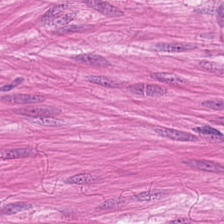Hematoxylin and eosin — Tissue class — muscularis.
